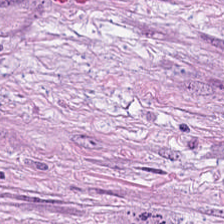H&E-stained tissue section — Tissue: cancer-associated stroma.
